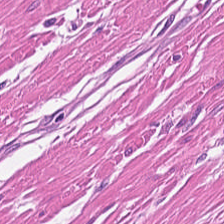Showing muscularis.
